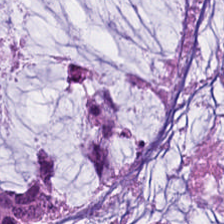Tissue class: mucin.
